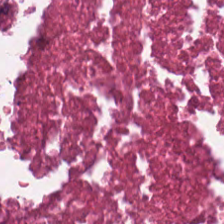Tissue type = debris.
